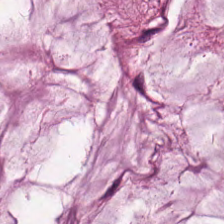Hematoxylin-and-eosin section: mucus.
